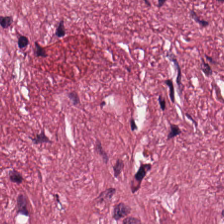0.5 µm/px. H&E stain.
The tissue here is tumor-associated stroma.
